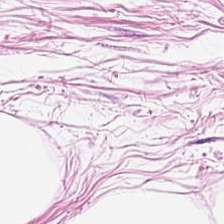Stain: H&E.
Preparation: FFPE.
Tissue type: adipose tissue.
